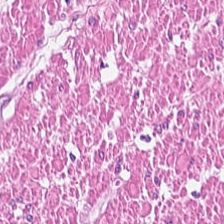H&E stain. Q: What is shown here?
A: It is smooth-muscle tissue.
